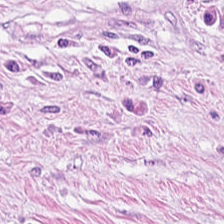Predominant tissue — desmoplastic stroma.
